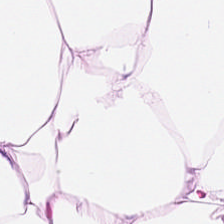Tissue — adipose tissue.
